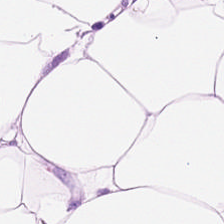The predominant tissue is adipose.
